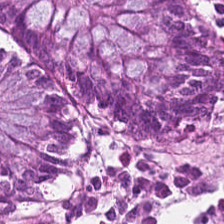H&E stain — Q: What type of tissue is this?
A: This is normal colon mucosa.
